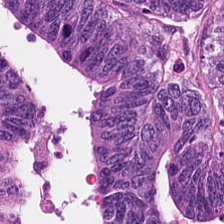H&E-stained tissue section. Showing tumor epithelium.
